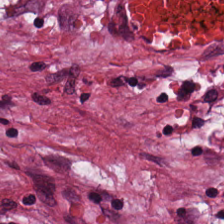H&E stain; 224×224 px patch; formalin-fixed paraffin-embedded section. Q: What tissue type is shown here?
A: Tumor-associated stroma.
